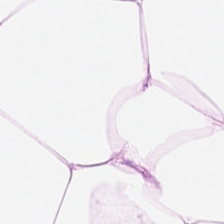Brightfield microscopy; 0.5 microns per pixel; hematoxylin-and-eosin stained section.
The predominant tissue is adipose.
